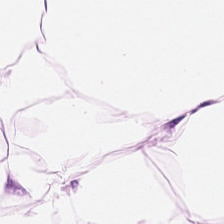The tissue type is adipose tissue.
